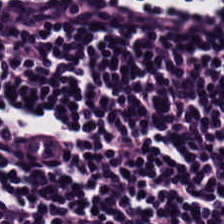Hematoxylin and eosin. 0.5 µm/px. Whole-slide-image patch — This field is lymphoid infiltrate.
